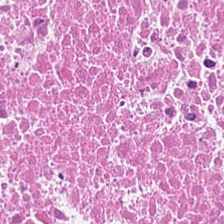H&E. The predominant tissue is cellular debris.
